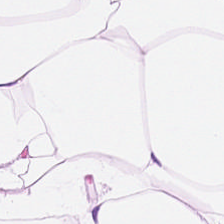H&E — Impression — adipose tissue.
